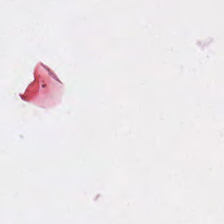The content is background.
